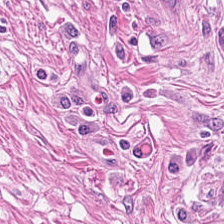H&E-stained section; the field shows smooth muscle.
